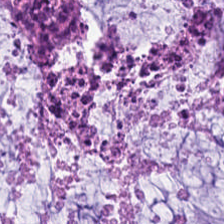Hematoxylin and eosin · 0.5 microns per pixel — Q: What tissue type is shown here?
A: It is mucin.
